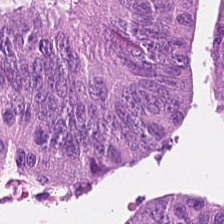Hematoxylin and eosin — Q: What is shown in this field?
A: This is tumor epithelium.
